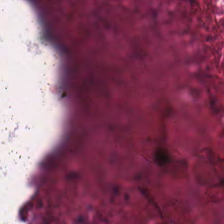224×224 px tile · 20× equivalent magnification · H&E stain. Tissue class = necrotic debris.
